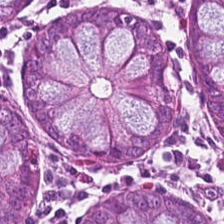H&E-stained tissue section. WSI patch.
Predominantly normal colon mucosa.
